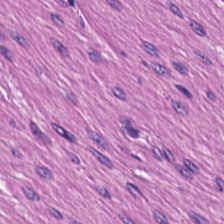224×224 pixel tile; H&E stain. This patch shows smooth muscle.
